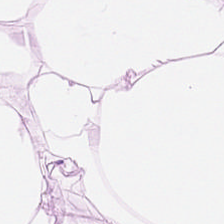Hematoxylin and eosin. Brightfield. 224×224 px patch.
Q: What is the predominant tissue type?
A: This is fat tissue.
